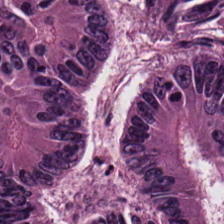Tissue — colorectal adenocarcinoma.
